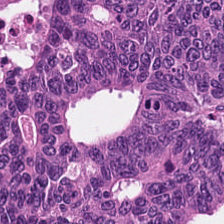Stain: H&E.
Classification: adenocarcinoma.
